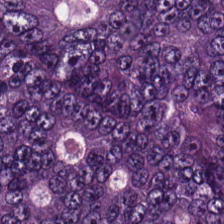Q: Identify the tissue.
A: Colorectal adenocarcinoma epithelium.
